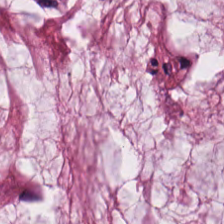Hematoxylin and eosin — The predominant tissue is mucus.
